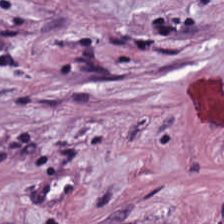Stain: H&E stain.
Predominant tissue: tumor stroma.
